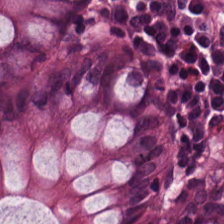Hematoxylin-and-eosin stained section — {"tissue_type": "benign colonic mucosa"}
